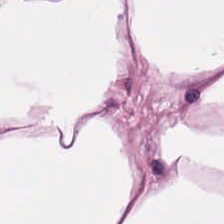H&E stain. Finding → fat tissue.
